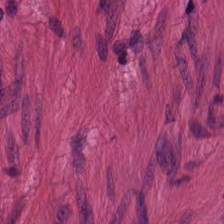H&E-stained tissue section — Smooth-muscle tissue.
